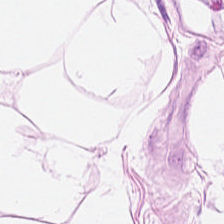H&E · brightfield. {"tissue_type": "fat tissue"}
